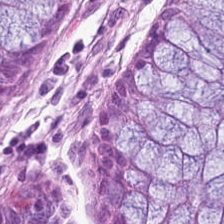H&E patch showing non-neoplastic colon mucosa.
